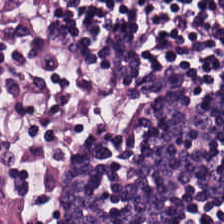H&E stain — Histology → lymphocytic infiltrate.
